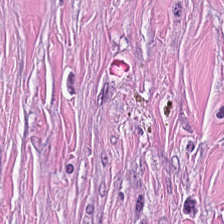H&E-stained tissue section.
Q: What is shown here?
A: It is cancer-associated stroma.
